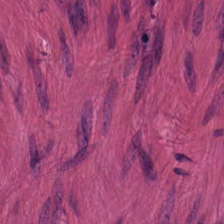The tissue type is smooth muscle.
